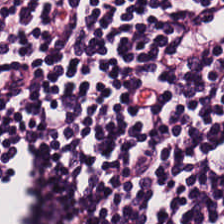Hematoxylin and eosin; 0.5 µm/px.
Finding — lymphocyte aggregate.
